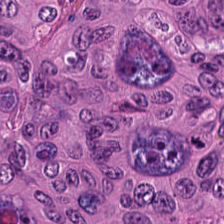H&E. Predominant tissue = colorectal adenocarcinoma.
